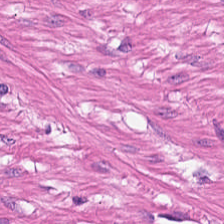Hematoxylin-and-eosin section: smooth muscle.
